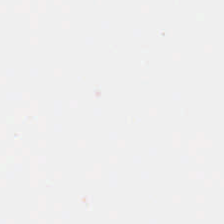The content is no tissue.
